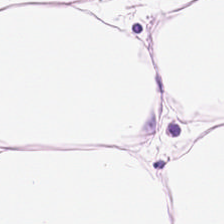Q: What tissue type is shown here?
A: Fat tissue.
